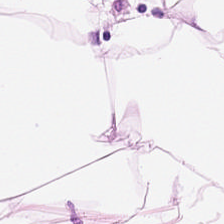Hematoxylin and eosin · 0.5 microns per pixel. Q: Identify the tissue.
A: This is adipose tissue.
